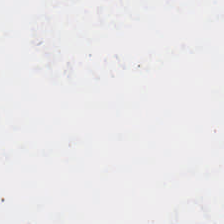Q: What is shown here?
A: Background (no tissue).
